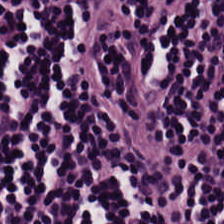H&E — Impression → lymphoid infiltrate.
